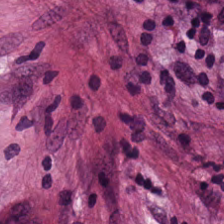H&E stain — The tissue is tumor stroma.
